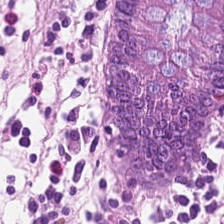Hematoxylin-and-eosin stained section. FFPE tissue section. 0.5 µm per pixel. This patch shows non-neoplastic colon mucosa.
